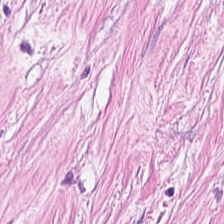H&E-stained tissue section.
Tissue class = desmoplastic stroma.
